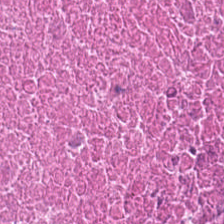H&E stain. FFPE tissue section.
{"tissue_type": "debris"}
